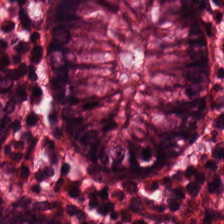Hematoxylin and eosin; 224×224 px patch. {"tissue_type": "non-neoplastic colon mucosa"}
